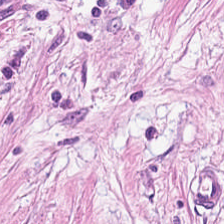0.5 microns per pixel · H&E-stained tissue section · FFPE. Tissue = tumor stroma.
